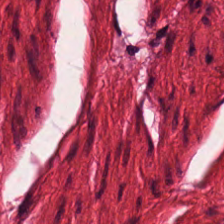Hematoxylin and eosin · whole-slide-image patch · 224×224 px tile. Impression → smooth muscle.
